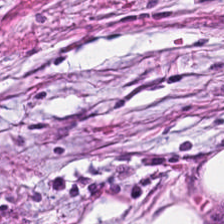Hematoxylin and eosin — Q: What is shown here?
A: Tumor-associated stroma.
